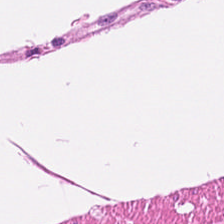Predominant tissue: muscularis.
